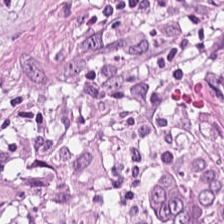H&E-stained tissue section. The tissue here is tumor-associated stroma.
